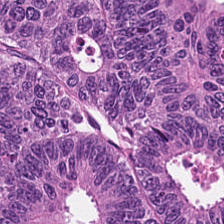Brightfield microscopy · H&E-stained tissue section · formalin-fixed paraffin-embedded section.
Q: What does this patch show?
A: Colorectal adenocarcinoma epithelium.
